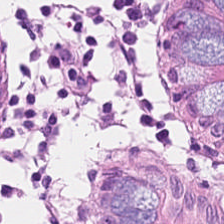Hematoxylin-and-eosin stained section — Impression — normal colonic mucosa.
